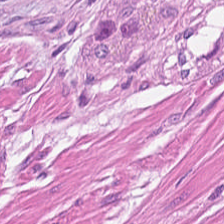H&E-stained tissue section. Q: What type of tissue is this?
A: It is smooth muscle.
